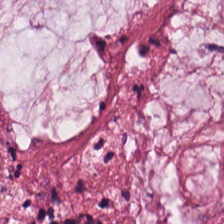H&E · FFPE · WSI patch. Impression — mucus.
